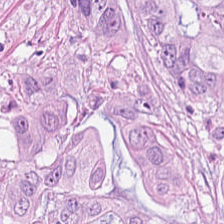Showing tumor epithelium.
